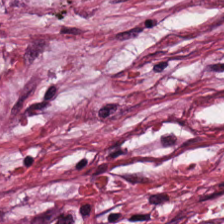Hematoxylin-and-eosin stained section.
Cancer-associated stroma.
